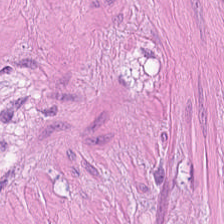Q: What is shown here?
A: The field shows smooth-muscle tissue.
